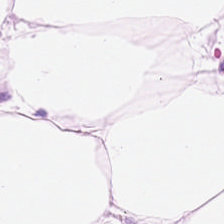Hematoxylin and eosin · whole-slide-image patch. Histology — adipose tissue.
